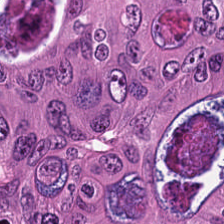20× equivalent magnification · H&E · 224×224 px tile — Predominantly adenocarcinoma.
